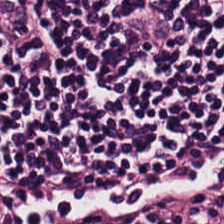H&E. FFPE — {"tissue_type": "lymphocytes"}
